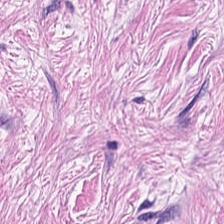Stain: H&E-stained tissue section.
Predominant tissue: tumor stroma.
